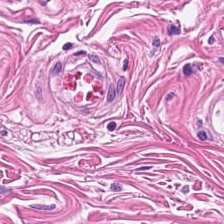H&E — Showing smooth muscle.
